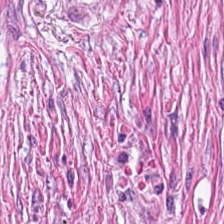Stain: H&E stain.
Acquisition: WSI patch.
Tissue class: tumor-associated stroma.
